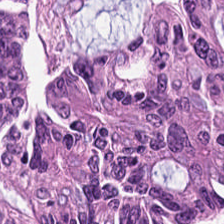H&E.
Predominant tissue: colorectal adenocarcinoma.
